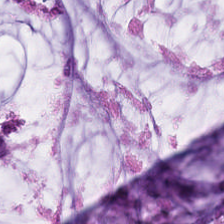Hematoxylin and eosin. Q: What tissue type is shown here?
A: This is mucus.
